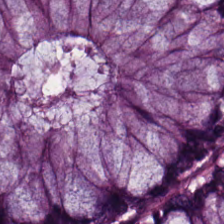224×224 px patch. H&E.
Q: What tissue is shown?
A: The field shows non-neoplastic colon mucosa.
